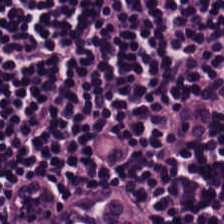H&E. Q: Classify this patch.
A: This is lymphoid infiltrate.
